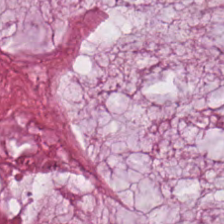H&E. Predominant tissue: extracellular mucin.
